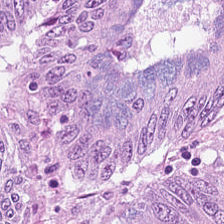H&E-stained tissue section. 0.5 µm per pixel. Q: What is shown here?
A: Colorectal adenocarcinoma epithelium.
